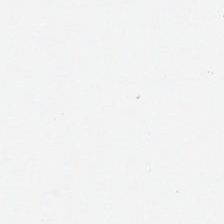H&E stain — Background — no tissue in this field.
